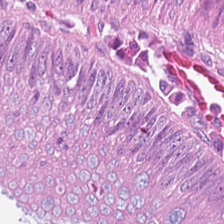H&E-stained tissue section.
Q: Identify the tissue.
A: It is malignant epithelium.
